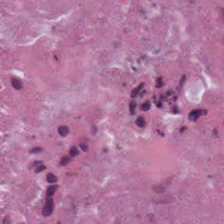H&E-stained tissue section. FFPE tissue section.
{"tissue_type": "necrotic debris"}
